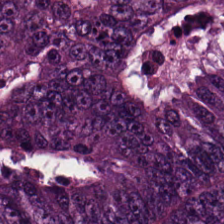Tissue: colorectal adenocarcinoma.
